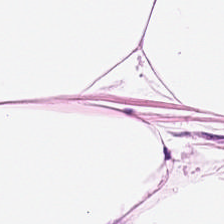224×224 px patch; H&E stain.
The tissue is fat tissue.
